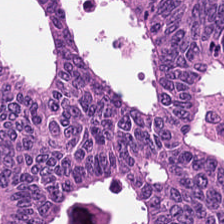20× equivalent magnification · hematoxylin-and-eosin stained section.
Classification — adenocarcinoma.
